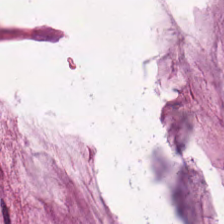Brightfield. Hematoxylin-and-eosin stained section.
{"tissue_type": "extracellular mucin"}
